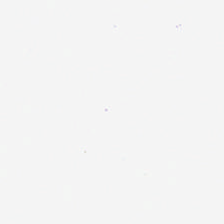Hematoxylin and eosin.
{"content": "background (no tissue)"}
